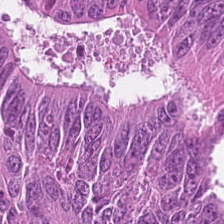Brightfield; 224×224 px tile; H&E — Tissue: colorectal adenocarcinoma.
